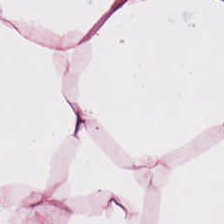Hematoxylin and eosin — Histology — fat tissue.
